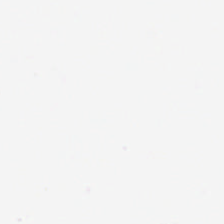Empty background.
